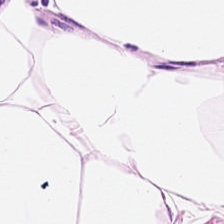0.5 µm per pixel. H&E. Brightfield microscopy — Q: Classify this patch.
A: This is adipose tissue.
